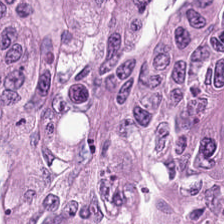H&E stain. The classification is colorectal adenocarcinoma.
